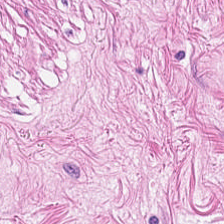Predominant tissue — muscularis.
